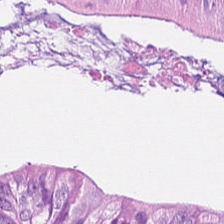Stain: H&E.
Preparation: formalin-fixed paraffin-embedded section.
Classification: adenocarcinoma.
